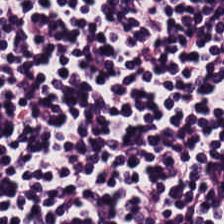Tissue class: lymphocytic infiltrate.
